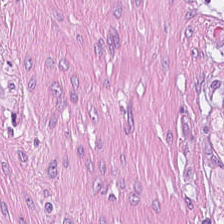H&E stain. The tissue here is tumor-associated stroma.
